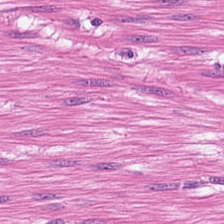Predominant tissue — smooth-muscle tissue.
